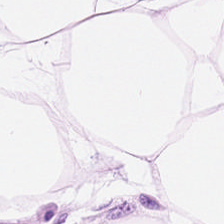H&E-stained section; the field shows adipose tissue.
